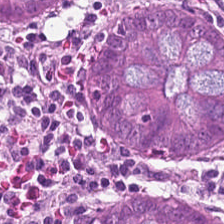Stain: H&E stain.
Acquisition: brightfield.
Tissue type: non-neoplastic colon mucosa.
